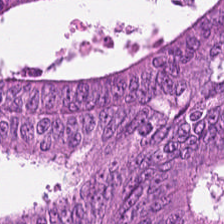Brightfield · hematoxylin and eosin · 20× equivalent magnification — This field is adenocarcinoma.
